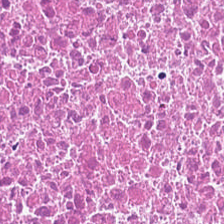H&E-stained tissue section. Formalin-fixed paraffin-embedded section — Q: What is the predominant tissue type?
A: It is necrotic debris.
